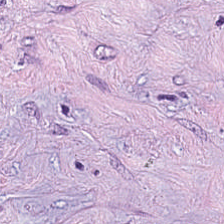H&E. FFPE — Impression — tumor-associated stroma.
